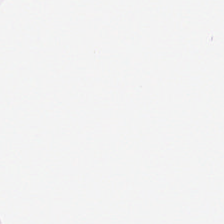Hematoxylin and eosin · 0.5 µm/px · FFPE — Tissue: adipocytes.
